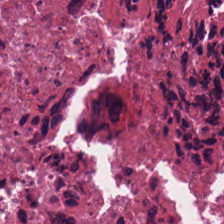Brightfield; formalin-fixed paraffin-embedded section; H&E.
Classification: cellular debris.
